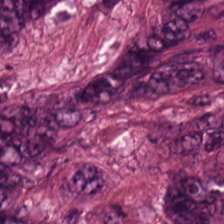Hematoxylin-and-eosin stained section — Histology — extracellular mucin.
